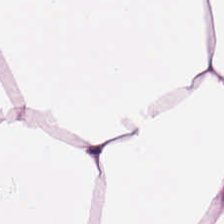Hematoxylin and eosin.
Finding — adipose.
